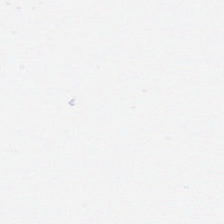Hematoxylin-and-eosin stained section — No tissue.
